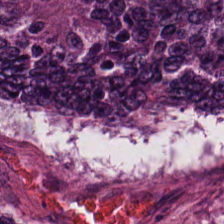Hematoxylin-and-eosin stained section.
This patch shows colorectal adenocarcinoma epithelium.
